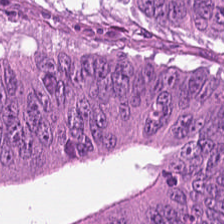{"tissue_type": "malignant epithelium"}
